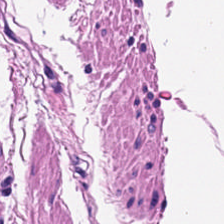Hematoxylin and eosin · 20× equivalent magnification — Tissue class = smooth muscle.
